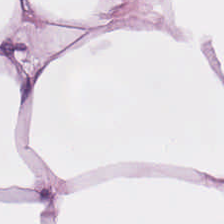H&E stain.
The tissue here is adipose.
